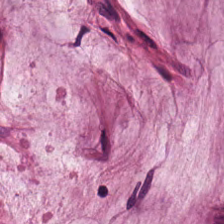Histology → extracellular mucin.
